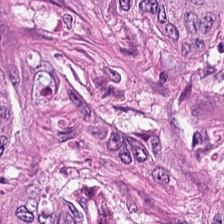Tissue class — malignant epithelium.
